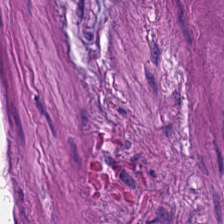20× equivalent magnification. Formalin-fixed paraffin-embedded section. Hematoxylin-and-eosin stained section — The tissue here is muscularis.
